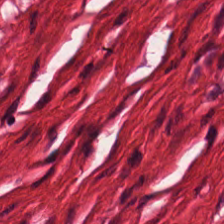H&E stain · WSI patch. Showing muscularis.
